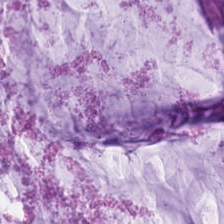Stain: hematoxylin-and-eosin stained section.
Preparation: FFPE tissue section.
Classification: extracellular mucin.
